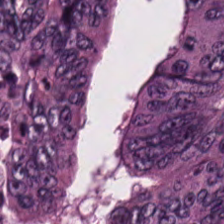Brightfield microscopy; hematoxylin and eosin — Q: Classify this patch.
A: Malignant epithelium.
